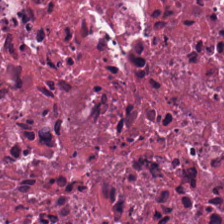0.5 microns per pixel; hematoxylin and eosin. Impression → cellular debris.
